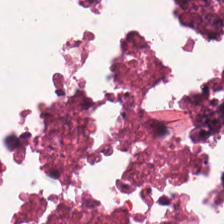H&E stain — Q: What does this patch show?
A: The field shows necrotic debris.
